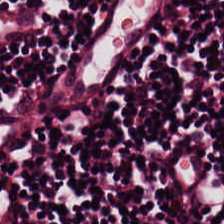H&E-stained tissue section.
Histology — lymphoid infiltrate.
